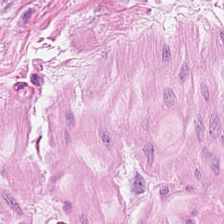Stain: H&E stain.
Tile size: 224×224 px patch.
Acquisition: brightfield.
Tissue: smooth muscle.
